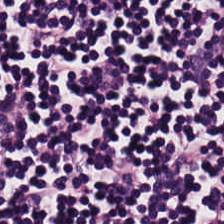Hematoxylin and eosin — Impression → lymphoid infiltrate.
